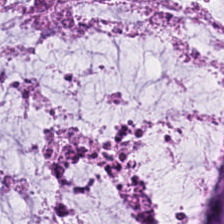The predominant tissue is mucus.
